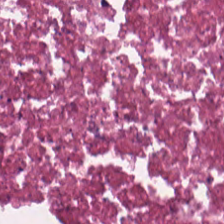Stain: H&E.
Acquisition: whole-slide-image patch.
Tissue type: cellular debris.
